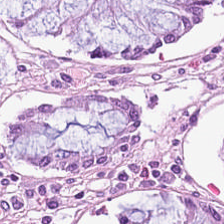FFPE; WSI patch; hematoxylin-and-eosin stained section. The tissue here is benign colonic mucosa.
